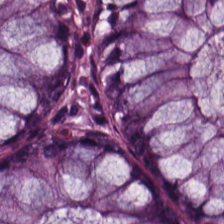Non-neoplastic colon mucosa.
